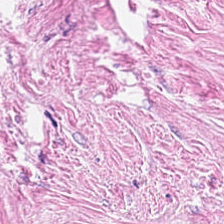H&E-stained tissue section. Whole-slide-image patch.
The tissue here is tumor-associated stroma.
